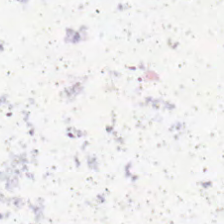FFPE tissue section; 224×224 px tile; hematoxylin-and-eosin stained section — Background — no tissue in this field.
